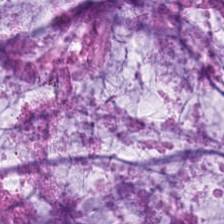H&E stain. 0.5 microns per pixel.
Mucin.
